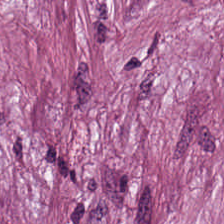H&E-stained section; the field shows tumor stroma.
